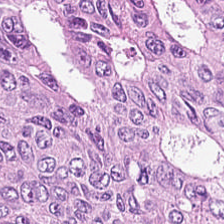Hematoxylin and eosin — This patch shows adenocarcinoma.
